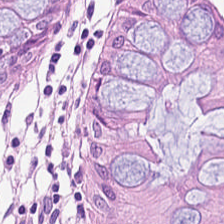Q: What is shown in this field?
A: This is non-neoplastic colon mucosa.
